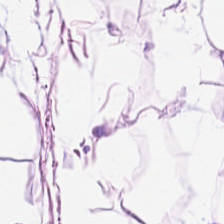Tissue class — adipose.
